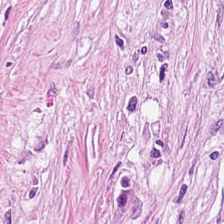20× equivalent magnification; H&E stain; WSI patch.
The predominant tissue is cancer-associated stroma.
